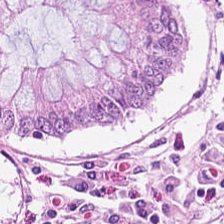Hematoxylin and eosin. Formalin-fixed paraffin-embedded section.
The tissue here is benign colonic mucosa.
